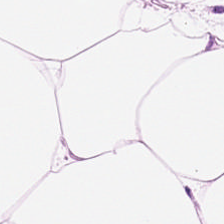Stain: hematoxylin and eosin.
Predominant tissue: fat tissue.
